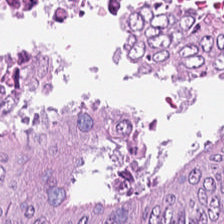Tissue class — malignant epithelium.
